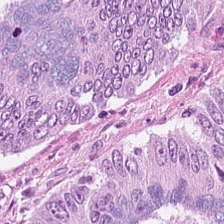H&E stain — This patch shows tumor epithelium.
